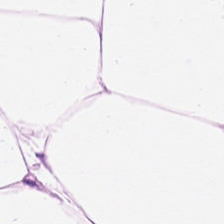Showing adipose tissue.
